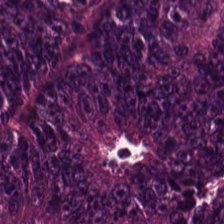Stain: H&E stain.
Classification: adenocarcinoma.
